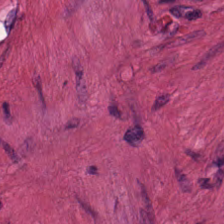Tissue class: smooth-muscle tissue.
